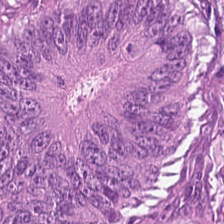Stain: H&E-stained tissue section.
Acquisition: brightfield.
Preparation: FFPE.
Tissue type: colorectal adenocarcinoma epithelium.
